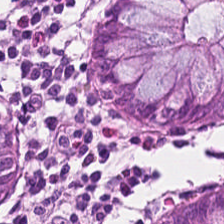FFPE; 224×224 px tile; hematoxylin and eosin.
Histology → benign colonic mucosa.
